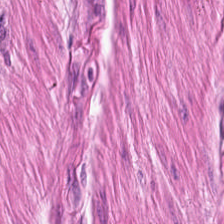H&E stain.
Showing muscularis.
